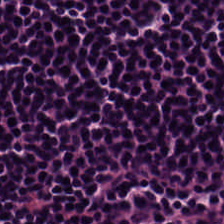Hematoxylin-and-eosin stained section — Predominantly lymphocyte aggregate.
